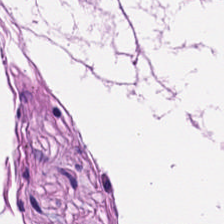0.5 µm per pixel; H&E stain; FFPE. Classification — muscularis.
